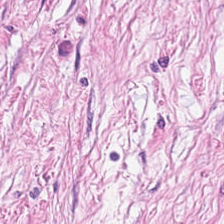224×224 pixel tile · H&E stain.
The tissue here is tumor-associated stroma.
